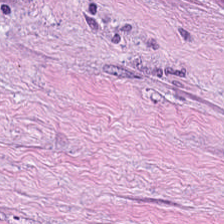224×224 px patch · H&E stain.
Q: What does this patch show?
A: The field shows tumor-associated stroma.
